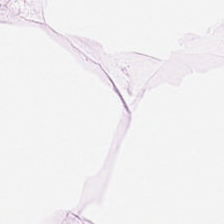H&E · 0.5 µm/px. Adipocytes.
